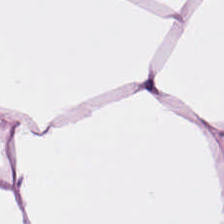Brightfield microscopy. 0.5 microns per pixel. Hematoxylin-and-eosin stained section. Q: What tissue is shown?
A: This is adipocytes.
